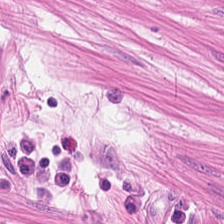Hematoxylin and eosin · 224×224 px tile · brightfield microscopy — Tissue type: smooth muscle.
